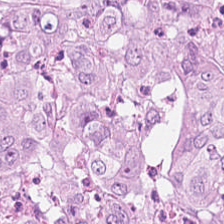Showing colorectal adenocarcinoma epithelium.
